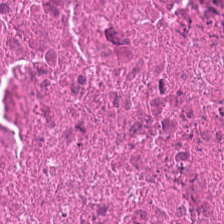0.5 µm per pixel. FFPE. H&E-stained tissue section.
Q: What is shown in this field?
A: Necrotic debris.
